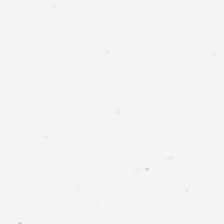H&E-stained tissue section.
{"content": "no tissue"}
